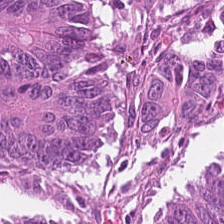FFPE tissue section · hematoxylin and eosin. Q: Classify this patch.
A: The field shows tumor epithelium.
